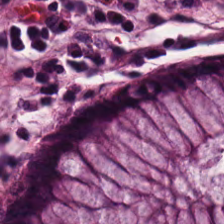H&E — This field is benign colonic mucosa.
